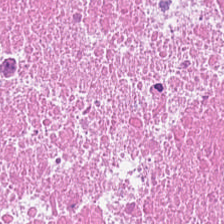224×224 pixel tile; 0.5 microns per pixel; hematoxylin and eosin.
The tissue is debris.
